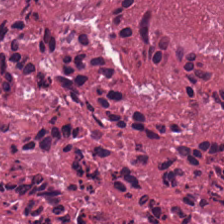H&E-stained section; the field shows necrotic debris.
